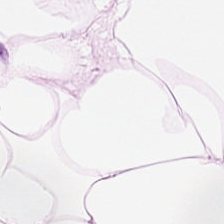Stain: hematoxylin and eosin.
Tissue type: adipocytes.
